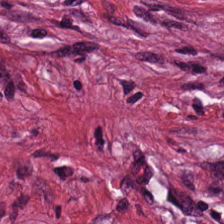H&E. Desmoplastic stroma.
